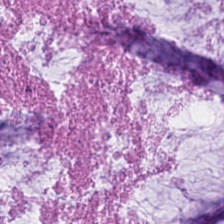Hematoxylin-and-eosin stained section — {"tissue_type": "mucus"}
